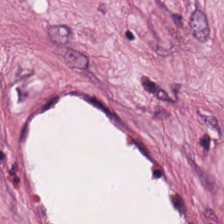H&E-stained tissue section — Q: What is shown here?
A: This is tumor-associated stroma.
